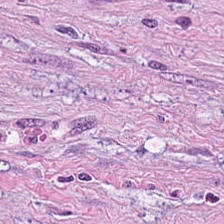Q: What tissue is shown?
A: This is tumor-associated stroma.
